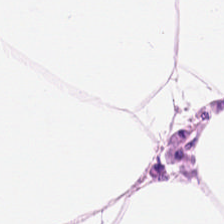Stain: hematoxylin-and-eosin stained section.
Tile size: 224×224 px patch.
Preparation: FFPE tissue section.
Tissue class: fat tissue.
